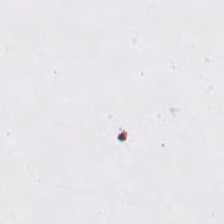Hematoxylin-and-eosin stained section. 224×224 px tile. This field is background (no tissue).
